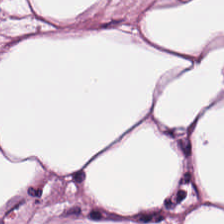H&E-stained tissue section — Tissue = adipose tissue.
